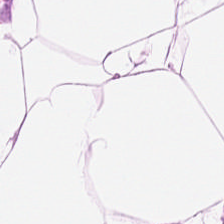Adipose tissue.
